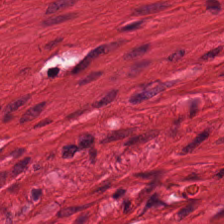H&E-stained tissue section.
The predominant tissue is smooth muscle.
